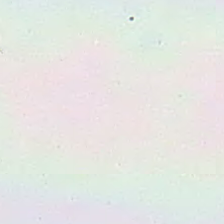H&E-stained tissue section.
No tissue present; background only.
